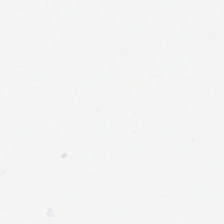WSI patch. H&E-stained tissue section — Impression → background (no tissue).
